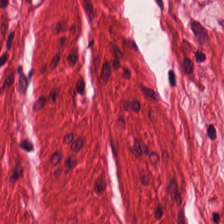H&E-stained tissue section.
Smooth muscle.
